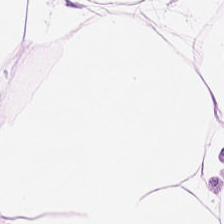Hematoxylin and eosin.
Q: What type of tissue is this?
A: This is adipocytes.
